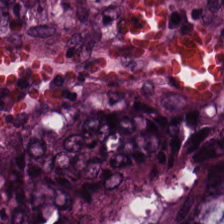0.5 µm per pixel; H&E stain. This patch shows malignant epithelium.
